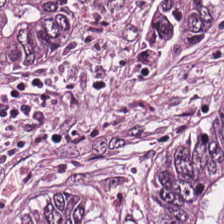Hematoxylin-and-eosin stained section · brightfield.
Predominantly colorectal adenocarcinoma epithelium.
